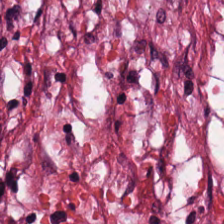Formalin-fixed paraffin-embedded section. H&E stain — Tissue = tumor stroma.
